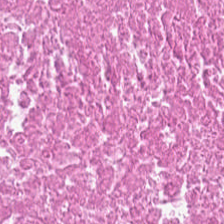H&E stain. Debris.
